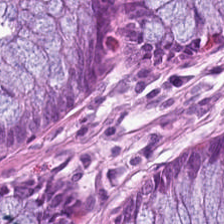224×224 pixel tile; hematoxylin-and-eosin stained section. Q: What tissue type is shown here?
A: It is non-neoplastic colon mucosa.
